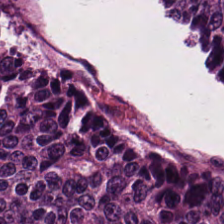Hematoxylin-and-eosin stained section. Showing tumor epithelium.
